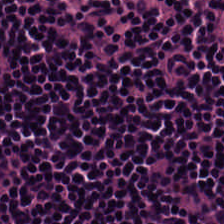Stain: H&E stain.
Tile size: 224×224 pixel tile.
Acquisition: WSI patch.
Tissue type: lymphoid infiltrate.
